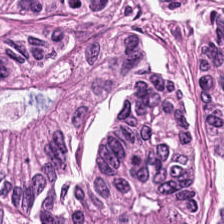Stain: hematoxylin-and-eosin stained section.
Classification: malignant epithelium.
